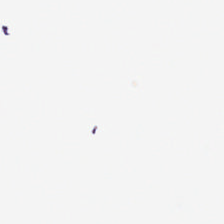H&E-stained tissue section.
Empty field — empty background.
